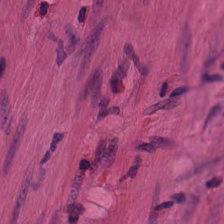0.5 microns per pixel · H&E-stained tissue section. Muscularis.
